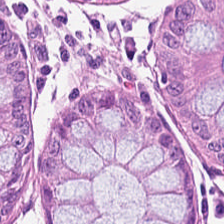H&E-stained tissue section · 0.5 microns per pixel · 224×224 px patch. {"tissue_type": "non-neoplastic colon mucosa"}
